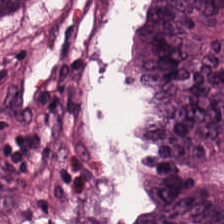Formalin-fixed paraffin-embedded section. H&E stain. Impression — colorectal adenocarcinoma epithelium.
